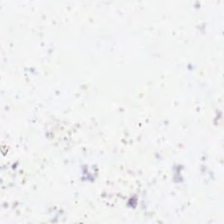Stain: H&E.
Preparation: formalin-fixed paraffin-embedded section.
Tile size: 224×224 pixel tile.
Content: background.
